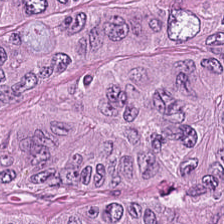Stain: H&E stain.
Tissue class: colorectal adenocarcinoma.
